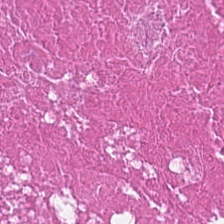H&E-stained tissue section; 224×224 px patch; brightfield microscopy. Predominant tissue — debris.
